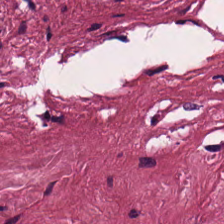H&E-stained tissue section.
This patch shows desmoplastic stroma.
